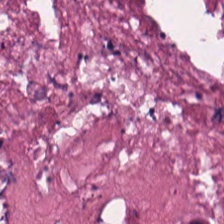Formalin-fixed paraffin-embedded section; H&E-stained tissue section.
Showing necrotic debris.
